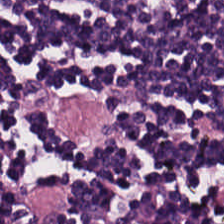Stain: hematoxylin-and-eosin stained section.
Classification: lymphocytic infiltrate.
